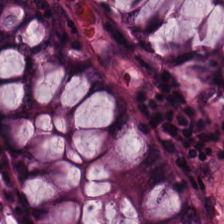Stain: H&E-stained tissue section.
Acquisition: whole-slide-image patch.
Tissue class: normal colonic mucosa.
